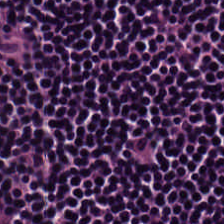Stain: H&E stain.
Resolution: 20× equivalent magnification.
Classification: lymphocyte aggregate.
